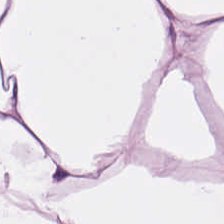Hematoxylin and eosin · brightfield microscopy. Adipose.
